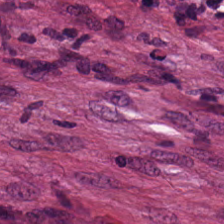H&E-stained tissue section; 224×224 px patch. Q: What is shown in this field?
A: Cancer-associated stroma.
